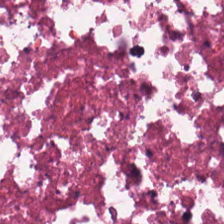Stain: hematoxylin-and-eosin stained section.
Predominant tissue: cellular debris.
